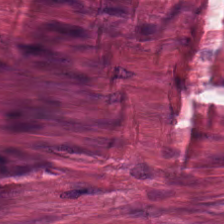Stain: H&E-stained tissue section.
Tissue: cancer-associated stroma.
